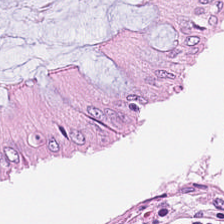Showing benign colonic mucosa.
